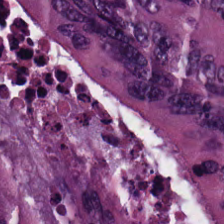Stain: H&E stain.
Tile size: 224×224 pixel tile.
Tissue type: malignant epithelium.
